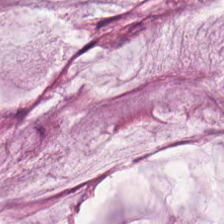224×224 pixel tile; H&E-stained tissue section; 0.5 µm per pixel. Predominantly mucus.
